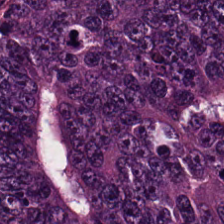Whole-slide-image patch · FFPE tissue section · hematoxylin-and-eosin stained section.
Colorectal adenocarcinoma epithelium.
